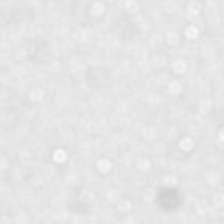Hematoxylin-and-eosin stained section — {"content": "background"}
